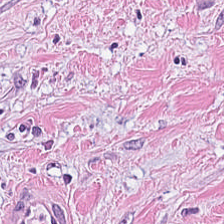Hematoxylin and eosin · WSI patch. Predominantly tumor-associated stroma.
